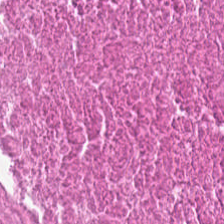H&E-stained tissue section — The predominant tissue is debris.
